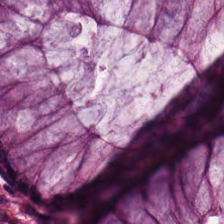Stain: hematoxylin and eosin.
Classification: non-neoplastic colon mucosa.
